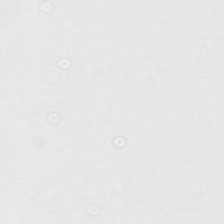H&E-stained tissue section; FFPE.
Classification: no tissue.
